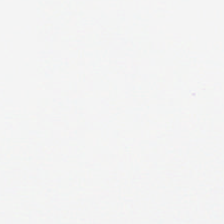H&E stain · 224×224 px patch. The content is background.
